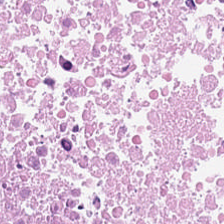H&E stain — Impression → necrotic debris.
